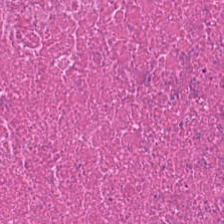Hematoxylin and eosin — Q: What is shown here?
A: The field shows debris.
